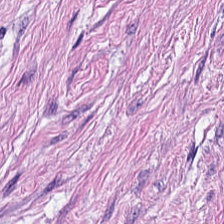Stain: H&E-stained tissue section.
Classification: smooth-muscle tissue.
